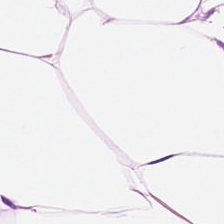Stain: hematoxylin and eosin.
Acquisition: whole-slide-image patch.
Tissue: adipose tissue.
